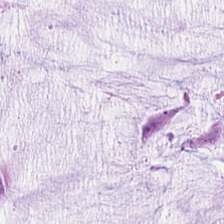Hematoxylin-and-eosin stained section. 224×224 px patch. Predominant tissue = extracellular mucin.
